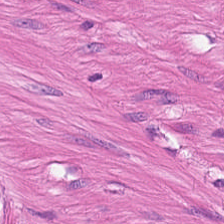Stain: hematoxylin-and-eosin stained section.
Acquisition: WSI patch.
Predominant tissue: muscularis.
